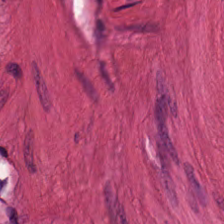H&E.
Q: Classify this patch.
A: This is muscularis.
